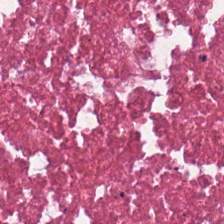Hematoxylin and eosin · 224×224 px tile.
This patch shows debris.
